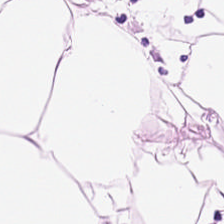0.5 microns per pixel · hematoxylin-and-eosin stained section.
The predominant tissue is adipose.
